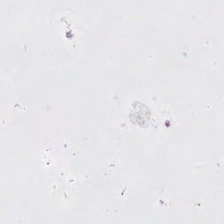H&E; 0.5 µm per pixel. The content is no tissue.
